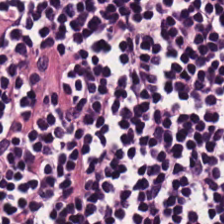Hematoxylin and eosin — Q: What type of tissue is this?
A: It is lymphocyte aggregate.
